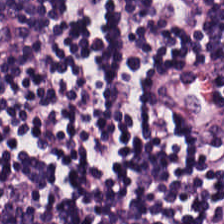Hematoxylin-and-eosin stained section; 0.5 µm/px.
The tissue here is lymphocytic infiltrate.
